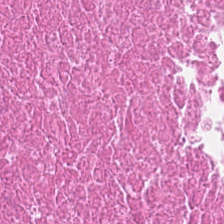Hematoxylin-and-eosin stained section · brightfield microscopy.
Necrotic debris.
